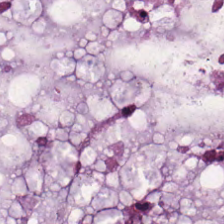H&E-stained section; the field shows mucin.
